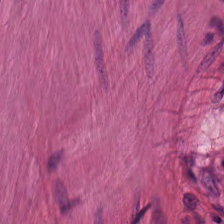FFPE · H&E stain.
The tissue type is smooth-muscle tissue.
